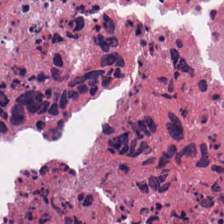H&E.
Q: Identify the tissue.
A: This is cellular debris.
